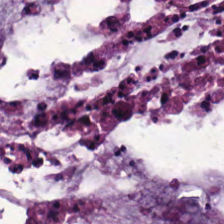FFPE tissue section · H&E stain — Mucus.
